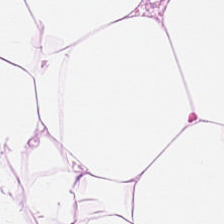H&E. Tissue type = adipose.
